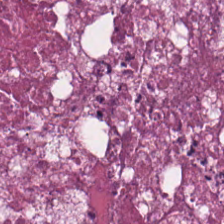Histology — debris.
